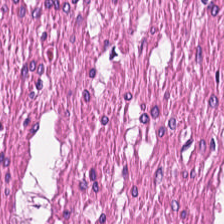H&E stain — Classification: smooth-muscle tissue.
